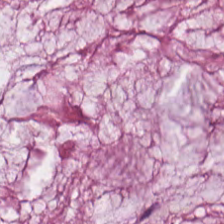Whole-slide-image patch. H&E. 0.5 microns per pixel — Finding — mucin.
